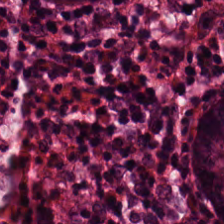H&E stain. Tissue type = benign colonic mucosa.
